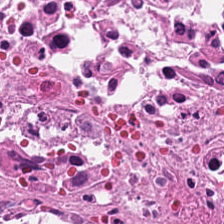224×224 px patch. H&E stain. Tissue class = cellular debris.
